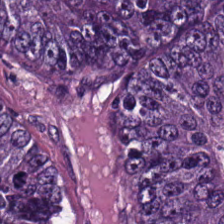Hematoxylin and eosin.
Predominant tissue: malignant epithelium.
